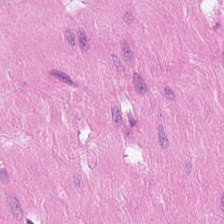H&E-stained tissue section.
Finding — smooth-muscle tissue.
